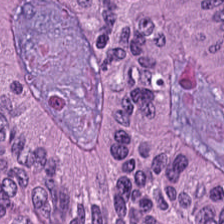FFPE tissue section · H&E stain.
The predominant tissue is colorectal adenocarcinoma.
